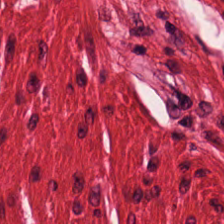This patch shows smooth muscle.
